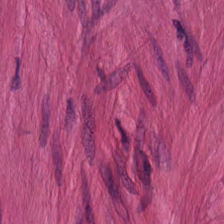WSI patch. H&E-stained tissue section. 224×224 px tile. Q: Identify the tissue.
A: This is smooth muscle.
